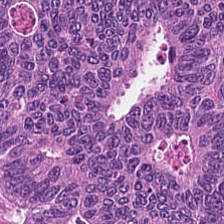H&E-stained tissue section.
Tumor epithelium.
